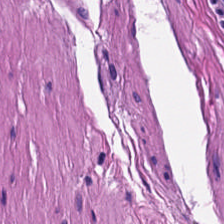H&E-stained tissue section. WSI patch.
Showing smooth-muscle tissue.
